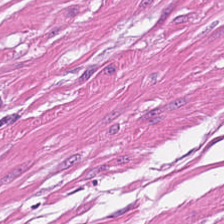H&E-stained tissue section — The tissue here is muscularis.
